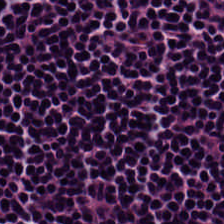H&E-stained tissue section — Q: What is the predominant tissue type?
A: Lymphocytes.
